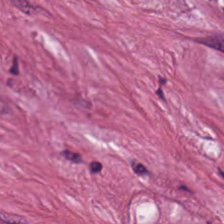Hematoxylin-and-eosin stained section. 224×224 pixel tile.
The predominant tissue is desmoplastic stroma.
